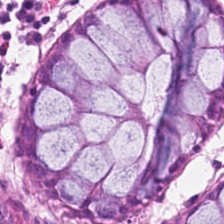H&E. Finding — non-neoplastic colon mucosa.
